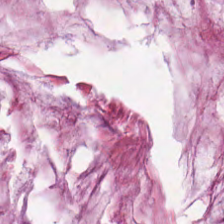H&E. Predominant tissue: extracellular mucin.
